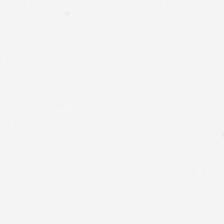Stain: H&E-stained tissue section.
Field content: background (no tissue).
